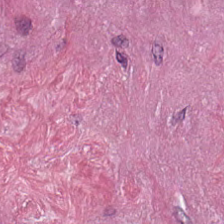H&E.
Q: Classify this patch.
A: This is cancer-associated stroma.
